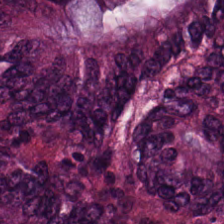Hematoxylin-and-eosin stained section.
Q: Identify the tissue.
A: This is tumor epithelium.
